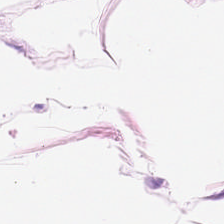Hematoxylin-and-eosin stained section; FFPE tissue section; 0.5 µm per pixel — This field is adipose tissue.
